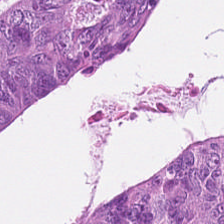Hematoxylin and eosin. Tumor epithelium.
